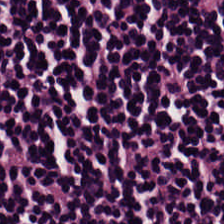This patch shows lymphocyte aggregate.
